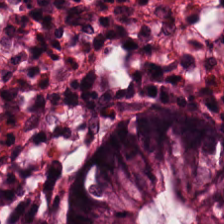Q: What is the predominant tissue type?
A: It is normal colonic mucosa.
